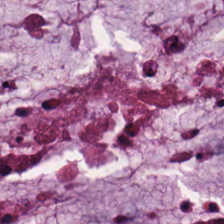Stain: hematoxylin-and-eosin stained section.
Tissue type: extracellular mucin.
